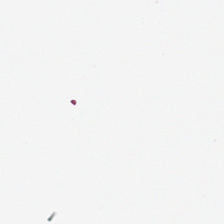Background — no tissue in this field.
